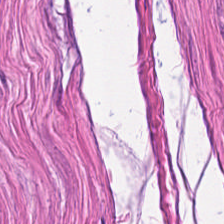H&E patch showing smooth-muscle tissue.
